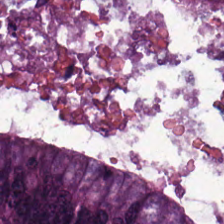0.5 µm/px; 224×224 px patch; hematoxylin-and-eosin stained section.
This field is colorectal adenocarcinoma.
